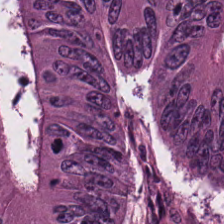Hematoxylin and eosin — The predominant tissue is tumor epithelium.
